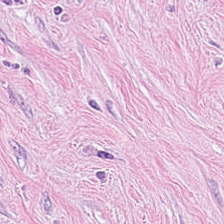H&E stain — This field is tumor stroma.
